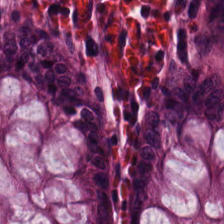Predominant tissue: benign colonic mucosa.
